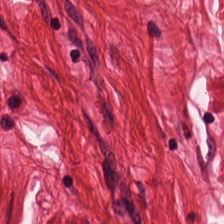Brightfield; 224×224 px tile; H&E-stained tissue section. Muscularis.
